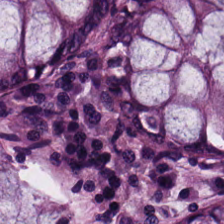H&E-stained tissue section. 224×224 pixel tile. The tissue here is normal colon mucosa.
